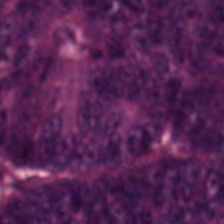H&E stain. FFPE tissue section. WSI patch — The predominant tissue is colorectal adenocarcinoma epithelium.
